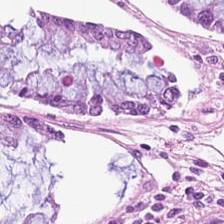H&E.
Q: What is the predominant tissue type?
A: The field shows non-neoplastic colon mucosa.
